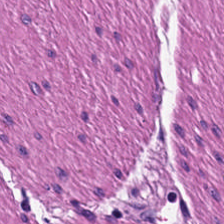Hematoxylin and eosin — The predominant tissue is muscularis.
